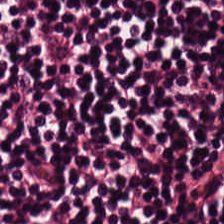WSI patch · H&E-stained tissue section. This patch shows lymphocytic infiltrate.
